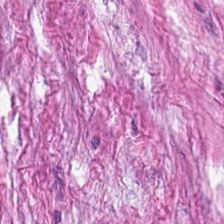Hematoxylin-and-eosin stained section · 224×224 px tile. Desmoplastic stroma.
